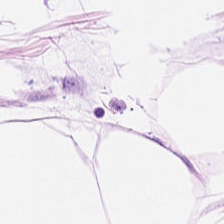H&E-stained tissue section · WSI patch · 224×224 px tile — Tissue = adipose tissue.
